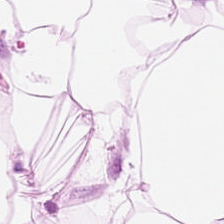Hematoxylin-and-eosin stained section · WSI patch. Tissue type = fat tissue.
